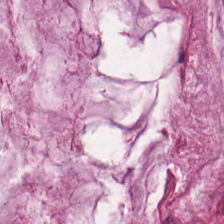The predominant tissue is extracellular mucin.
